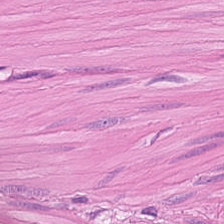Stain: H&E stain.
Preparation: FFPE tissue section.
Tissue class: muscularis.
